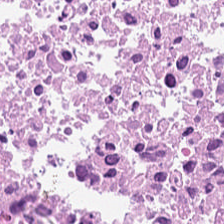Stain: H&E-stained tissue section.
Predominant tissue: debris.
